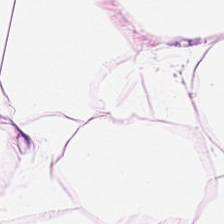Hematoxylin-and-eosin stained section. 224×224 px patch. Whole-slide-image patch — The tissue type is adipose tissue.
